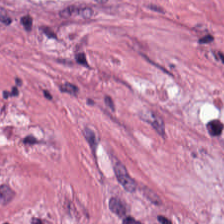Tissue = tumor stroma.
